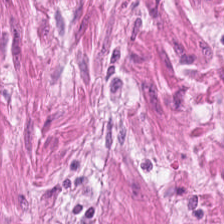H&E stain — This field is muscularis.
